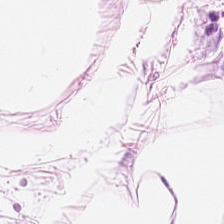H&E stain; FFPE; brightfield.
Predominantly adipocytes.
